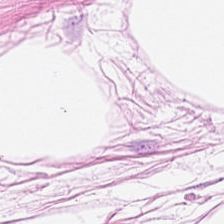The tissue here is adipocytes.
